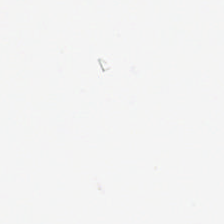Formalin-fixed paraffin-embedded section · hematoxylin and eosin — Background (no tissue).
